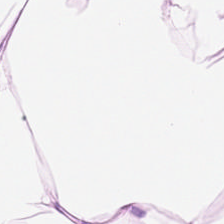Histology — fat tissue.
